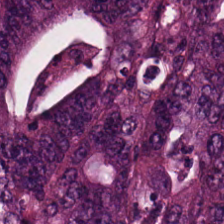FFPE tissue section. Hematoxylin-and-eosin stained section. Histology → malignant epithelium.
